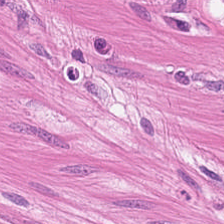H&E stain. This field is muscularis.
